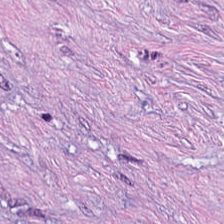Hematoxylin-and-eosin stained section — Q: What tissue type is shown here?
A: It is desmoplastic stroma.
